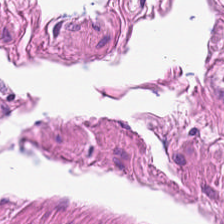Hematoxylin-and-eosin stained section. {"tissue_type": "smooth muscle"}
